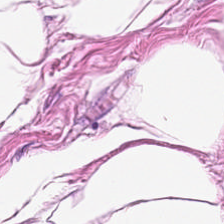H&E stain. Showing adipose tissue.
